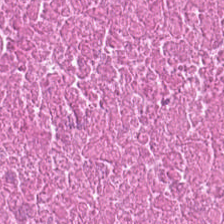H&E-stained tissue section. The tissue is necrotic debris.
